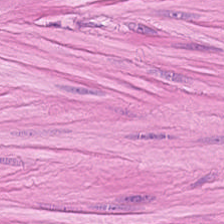Stain: H&E stain.
Predominant tissue: smooth muscle.
